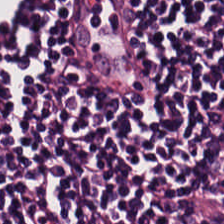Hematoxylin and eosin — Showing lymphocyte aggregate.
